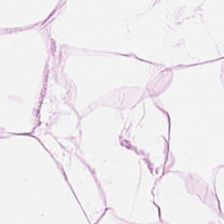H&E-stained tissue section — This patch shows adipocytes.
